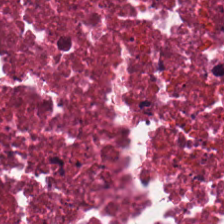H&E — Q: Classify this patch.
A: It is debris.
